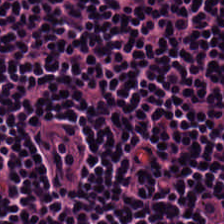Tissue class = lymphoid infiltrate.
